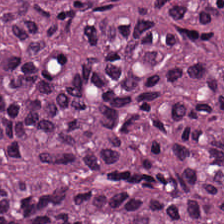This patch shows adenocarcinoma.
